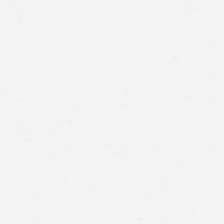224×224 pixel tile · H&E stain · 0.5 µm per pixel. Classification = background.
